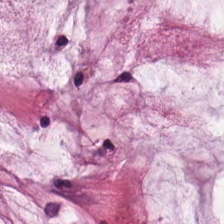Hematoxylin-and-eosin stained section · 224×224 px patch.
The predominant tissue is mucus.
